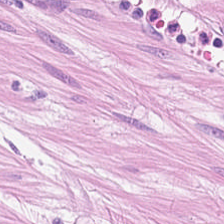Predominant tissue = smooth-muscle tissue.
